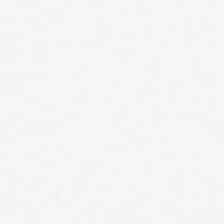H&E-stained tissue section. Content — empty background.
